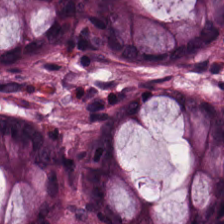H&E stain — Predominant tissue — normal colon mucosa.
